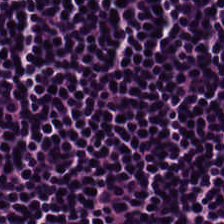Hematoxylin-and-eosin stained section — This patch shows lymphocytic infiltrate.
